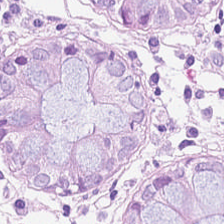Q: What type of tissue is this?
A: This is normal colon mucosa.
